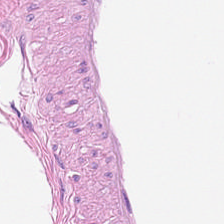H&E stain — {"tissue_type": "adipose"}
